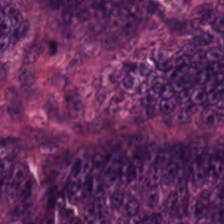H&E-stained tissue section showing tumor epithelium.
